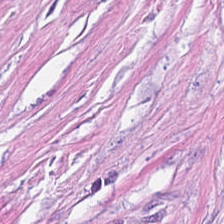H&E-stained tissue section showing tumor stroma.
